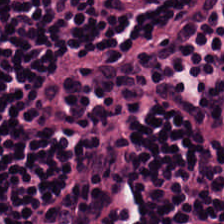Stain: hematoxylin and eosin.
Preparation: FFPE.
Resolution: 0.5 µm/px.
Classification: lymphocytes.
